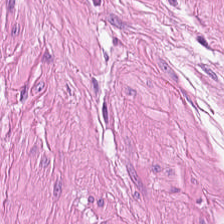H&E patch showing smooth-muscle tissue.
